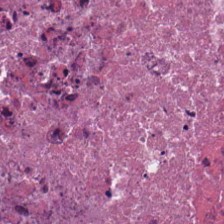Hematoxylin and eosin; 0.5 microns per pixel; whole-slide-image patch — The predominant tissue is necrotic debris.
